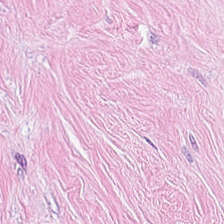224×224 px patch · H&E-stained tissue section.
Q: What is shown here?
A: The field shows tumor stroma.
